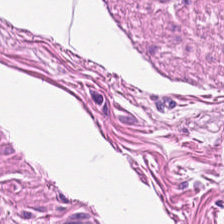This patch shows smooth-muscle tissue.
